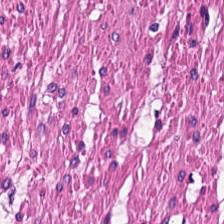Stain: hematoxylin-and-eosin stained section.
Resolution: 0.5 microns per pixel.
Acquisition: WSI patch.
Predominant tissue: muscularis.
